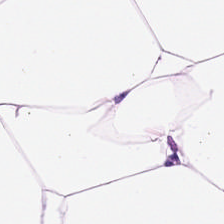Impression — adipocytes.
